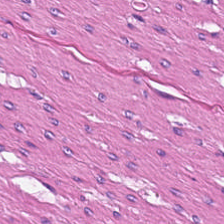Hematoxylin-and-eosin stained section. Impression → smooth-muscle tissue.
